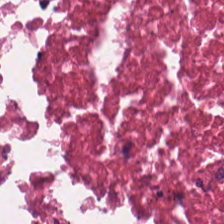This field is debris.
